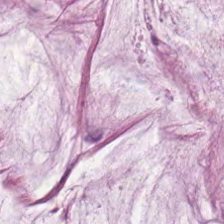H&E stain.
The predominant tissue is extracellular mucin.
